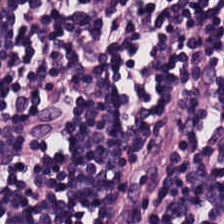FFPE tissue section. H&E-stained tissue section.
Q: Identify the tissue.
A: It is lymphocytic infiltrate.
